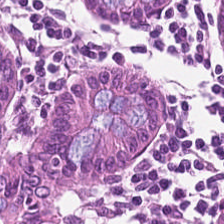Hematoxylin and eosin. 224×224 px tile. FFPE tissue section. Tissue — non-neoplastic colon mucosa.
